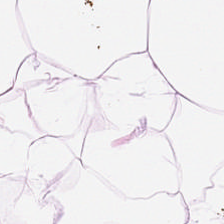H&E stain.
Q: What is the predominant tissue type?
A: Adipose tissue.
